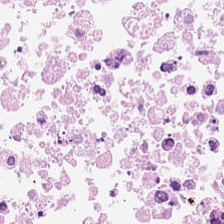Q: Classify this patch.
A: The field shows cellular debris.
